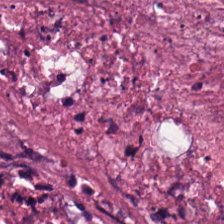0.5 µm per pixel · H&E. This field is debris.
